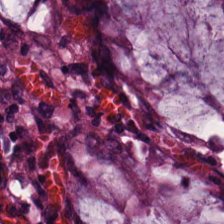H&E-stained tissue section — Predominant tissue = non-neoplastic colon mucosa.
